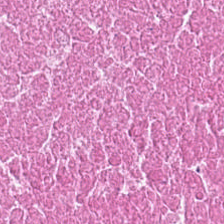Hematoxylin and eosin. The predominant tissue is cellular debris.
